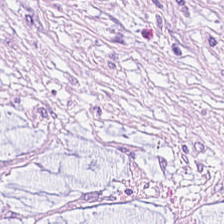H&E — This field is extracellular mucin.
